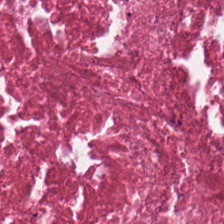Formalin-fixed paraffin-embedded section. 224×224 px tile. H&E. Predominant tissue = cellular debris.
